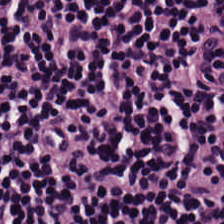Classification — lymphocyte aggregate.
